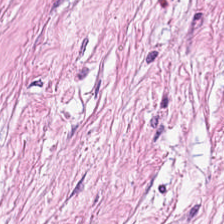224×224 px patch. Hematoxylin and eosin. 0.5 microns per pixel — Tissue type — tumor-associated stroma.
